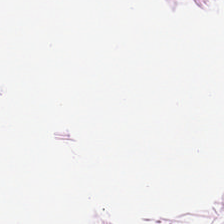H&E.
Adipocytes.
